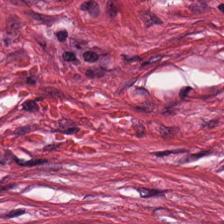Showing tumor-associated stroma.
